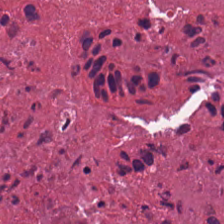Tissue — debris.
